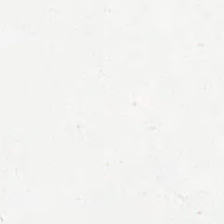Hematoxylin and eosin · 224×224 px tile. Classification — no tissue.
